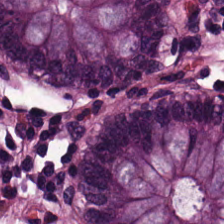Hematoxylin-and-eosin section: non-neoplastic colon mucosa.
